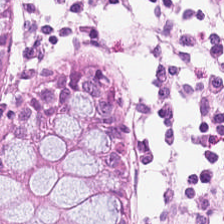Hematoxylin and eosin. Tissue class = benign colonic mucosa.
